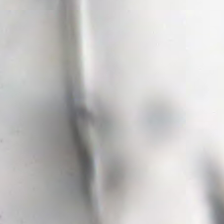Hematoxylin and eosin; 0.5 µm/px. Q: What is shown in this field?
A: The field shows background.
